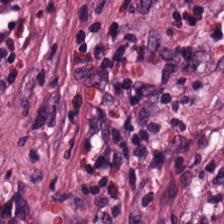Brightfield. H&E-stained tissue section.
The tissue class is cancer-associated stroma.
